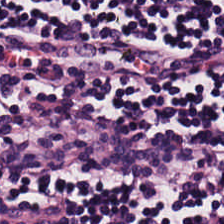Q: What tissue type is shown here?
A: This is lymphoid infiltrate.
